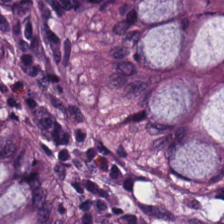Tissue class = normal colon mucosa.
